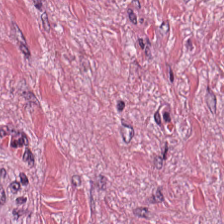H&E.
The tissue here is tumor stroma.
